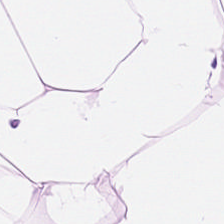Hematoxylin and eosin.
Adipocytes.
